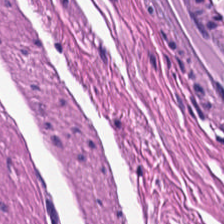Hematoxylin-and-eosin stained section.
Classification = smooth-muscle tissue.
